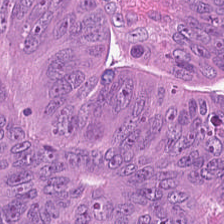Hematoxylin-and-eosin stained section; FFPE — This patch shows colorectal adenocarcinoma epithelium.
